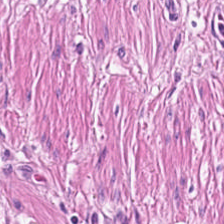224×224 px patch · brightfield · hematoxylin-and-eosin stained section.
{"tissue_type": "smooth muscle"}
